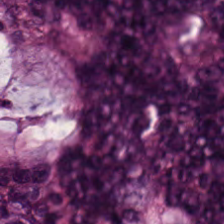H&E.
Impression → colorectal adenocarcinoma.
